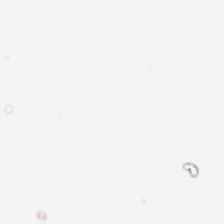Hematoxylin and eosin.
Q: Classify this patch.
A: The field shows no tissue.
